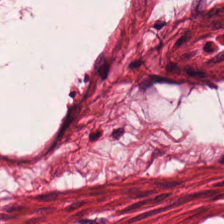Hematoxylin-and-eosin stained section · WSI patch.
Predominant tissue — smooth-muscle tissue.
